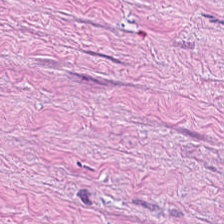Stain: H&E.
Tile size: 224×224 px patch.
Predominant tissue: tumor-associated stroma.
